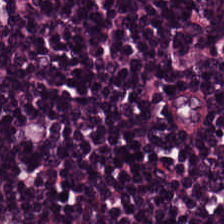0.5 µm per pixel. WSI patch. H&E stain — Q: Identify the tissue.
A: Lymphocyte aggregate.
